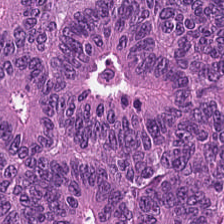Tissue — colorectal adenocarcinoma.
